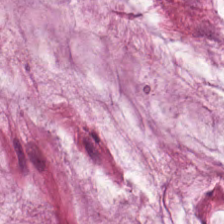Hematoxylin-and-eosin stained section.
Classification: mucus.
